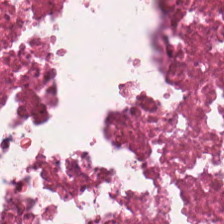Brightfield. H&E stain — Predominantly cellular debris.
